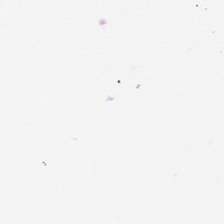224×224 pixel tile · H&E-stained tissue section. The classification is background.
